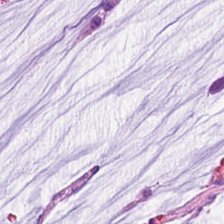H&E. Whole-slide-image patch — The tissue type is mucus.
